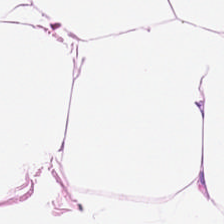Stain: H&E-stained tissue section.
Preparation: FFPE tissue section.
Classification: adipocytes.
